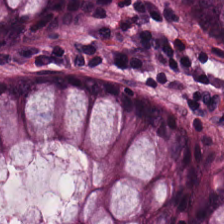Hematoxylin-and-eosin stained section — Showing benign colonic mucosa.
